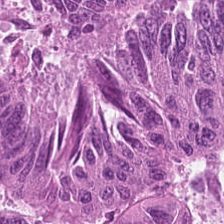H&E stain — Predominantly adenocarcinoma.
